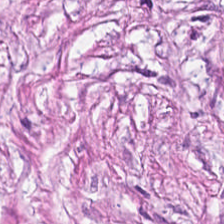0.5 microns per pixel; brightfield; H&E-stained tissue section — The tissue type is cancer-associated stroma.
